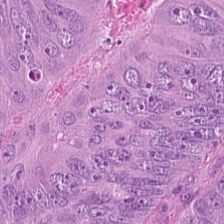Impression → colorectal adenocarcinoma.
